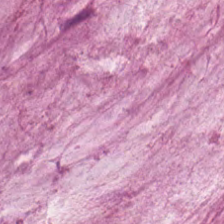WSI patch · 224×224 pixel tile · H&E stain. Q: What tissue is shown?
A: Extracellular mucin.
